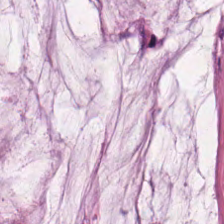H&E patch showing mucin.
